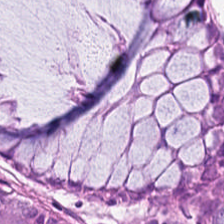Hematoxylin and eosin. 0.5 µm per pixel.
The predominant tissue is normal colonic mucosa.
